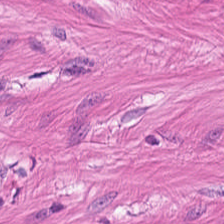Stain: hematoxylin and eosin.
Resolution: 0.5 microns per pixel.
Classification: muscularis.
